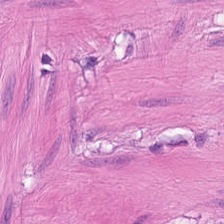Hematoxylin and eosin.
Predominantly muscularis.
